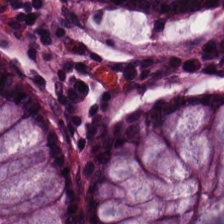0.5 µm per pixel. H&E-stained tissue section. Brightfield microscopy.
{"tissue_type": "non-neoplastic colon mucosa"}
